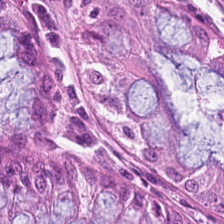The tissue here is benign colonic mucosa.
